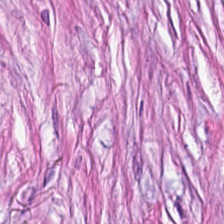224×224 px tile. H&E-stained tissue section — Finding — cancer-associated stroma.
